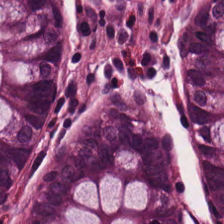H&E stain. 224×224 px tile. The tissue type is non-neoplastic colon mucosa.
